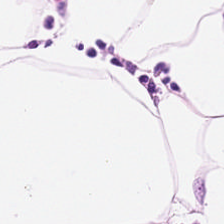H&E. Showing fat tissue.
